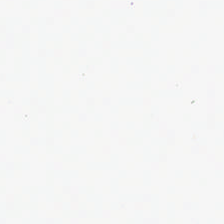224×224 pixel tile. Hematoxylin-and-eosin stained section — Content: empty background.
